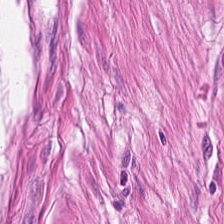0.5 µm/px; H&E stain — Showing smooth-muscle tissue.
